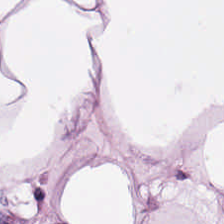Showing adipose tissue.
